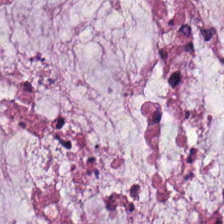0.5 µm per pixel. H&E — The predominant tissue is mucin.
